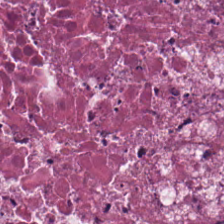WSI patch; 224×224 pixel tile; H&E stain.
Tissue class: necrotic debris.
